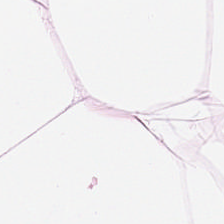The tissue is adipose.
